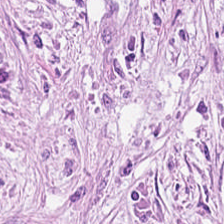H&E. This field is tumor stroma.
